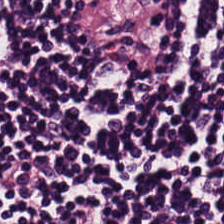Stain: H&E stain.
Predominant tissue: lymphocyte aggregate.
